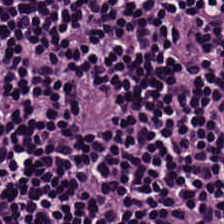Hematoxylin-and-eosin section: lymphoid infiltrate.
